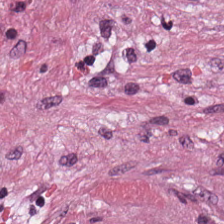Hematoxylin-and-eosin stained section.
This patch shows tumor-associated stroma.
